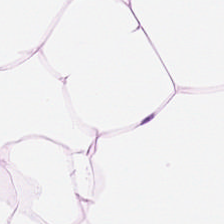Hematoxylin-and-eosin stained section — Fat tissue.
